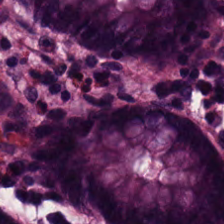20× equivalent magnification; H&E stain; 224×224 px patch. Predominant tissue: benign colonic mucosa.
